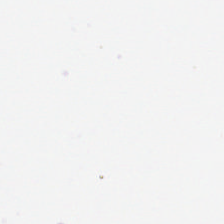Histology → background.
